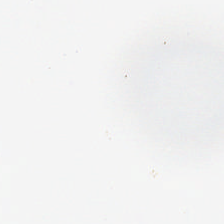Stain: H&E-stained tissue section.
Field content: no tissue.
